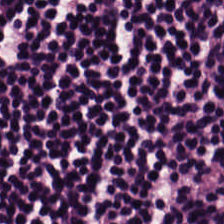Hematoxylin-and-eosin stained section.
Tissue — lymphocytes.
